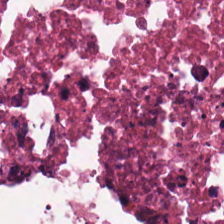Predominant tissue — necrotic debris.
